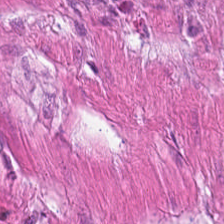FFPE; hematoxylin-and-eosin stained section — Q: What tissue is shown?
A: This is smooth-muscle tissue.
